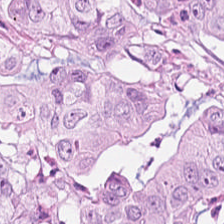Hematoxylin-and-eosin stained section — {"tissue_type": "adenocarcinoma"}
